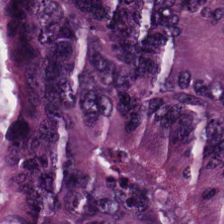Hematoxylin and eosin — Q: What tissue type is shown here?
A: The field shows colorectal adenocarcinoma epithelium.
